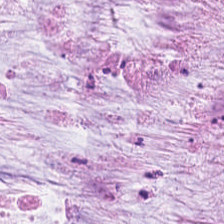H&E stain — Showing mucus.
